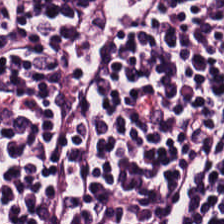20× equivalent magnification. Formalin-fixed paraffin-embedded section. H&E.
The tissue class is lymphoid infiltrate.
